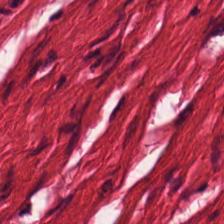Hematoxylin and eosin — Tissue type = smooth-muscle tissue.
